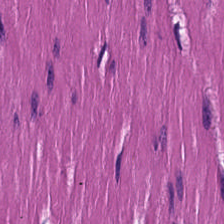Hematoxylin-and-eosin stained section. This field is smooth muscle.
